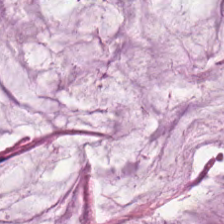Stain: H&E.
Acquisition: brightfield microscopy.
Resolution: 20× equivalent magnification.
Tissue type: extracellular mucin.
